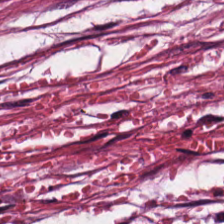H&E-stained tissue section showing tumor-associated stroma.
